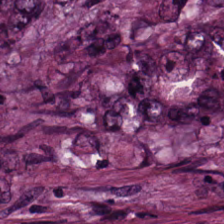H&E stain.
This field is colorectal adenocarcinoma epithelium.
